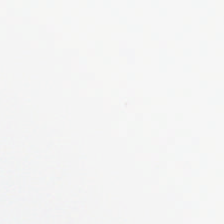Stain: hematoxylin-and-eosin stained section.
Preparation: FFPE tissue section.
Classification: background.
